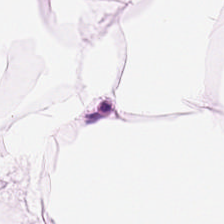H&E-stained tissue section — {"tissue_type": "adipose tissue"}
